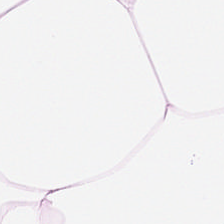H&E.
Predominantly adipocytes.
